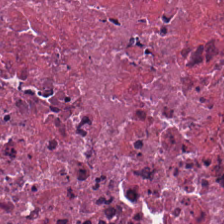Stain: H&E-stained tissue section.
Predominant tissue: debris.
